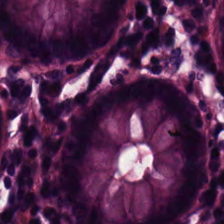Hematoxylin-and-eosin stained section · 0.5 microns per pixel. Predominantly non-neoplastic colon mucosa.
